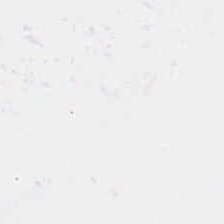This patch shows background (no tissue).
